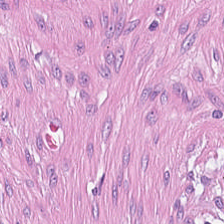Hematoxylin and eosin. Whole-slide-image patch. Classification: tumor stroma.
